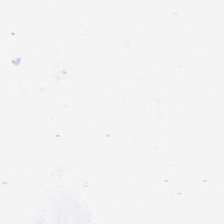The classification is background.
